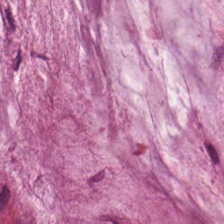H&E-stained tissue section.
Mucin.
